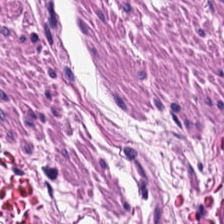H&E-stained tissue section — Q: What is shown in this field?
A: The field shows smooth muscle.
